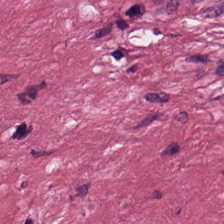224×224 px tile; H&E stain — Histology → tumor-associated stroma.
